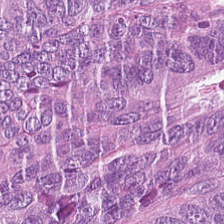Hematoxylin-and-eosin stained section. Tumor epithelium.
